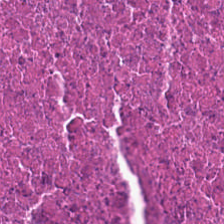Hematoxylin-and-eosin stained section. Tissue type — cellular debris.
